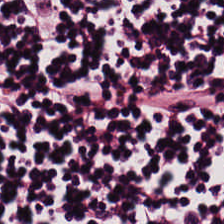Hematoxylin-and-eosin stained section.
The predominant tissue is lymphocytic infiltrate.
